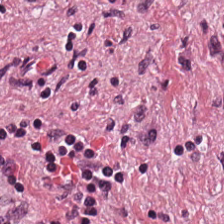H&E — cancer-associated stroma.
